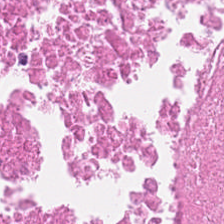Impression → debris.
